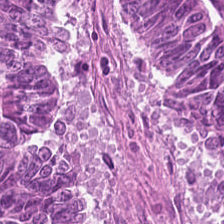H&E stain; FFPE; whole-slide-image patch.
The tissue here is adenocarcinoma.
